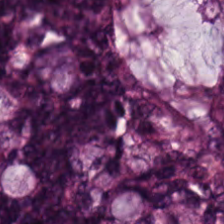H&E. WSI patch.
{"tissue_type": "colorectal adenocarcinoma epithelium"}
